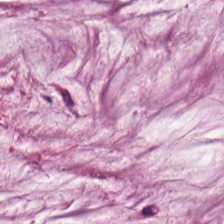Stain: H&E-stained tissue section.
Tile size: 224×224 px tile.
Tissue: mucus.
